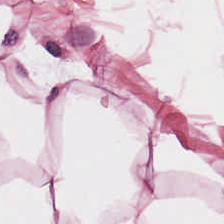Classification: adipose tissue.
